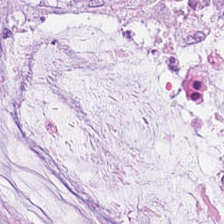Hematoxylin and eosin · formalin-fixed paraffin-embedded section.
Q: What type of tissue is this?
A: This is mucus.
